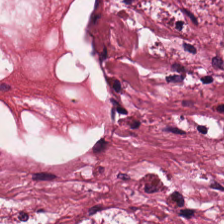Hematoxylin-and-eosin stained section — Predominant tissue: tumor stroma.
